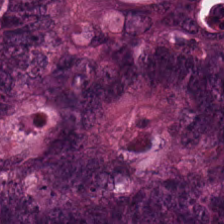Hematoxylin-and-eosin stained section — Showing malignant epithelium.
